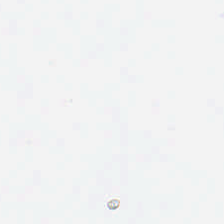H&E stain — This patch shows empty background.
